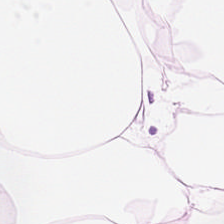H&E · 224×224 px tile · formalin-fixed paraffin-embedded section — Q: What does this patch show?
A: Adipocytes.
